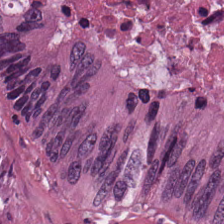H&E stain. 224×224 pixel tile.
The predominant tissue is cellular debris.
